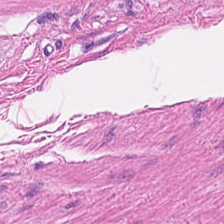Hematoxylin-and-eosin stained section — Impression → muscularis.
